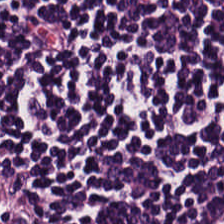Hematoxylin and eosin; 20× equivalent magnification; brightfield. The tissue type is lymphoid infiltrate.
